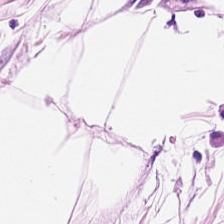Hematoxylin-and-eosin stained section · FFPE · brightfield.
Q: What does this patch show?
A: Adipose tissue.
